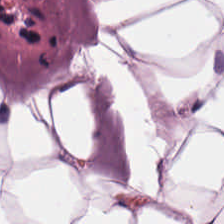Whole-slide-image patch · H&E.
Tissue type: adipocytes.
